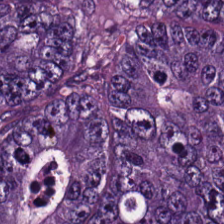Colorectal adenocarcinoma epithelium.
